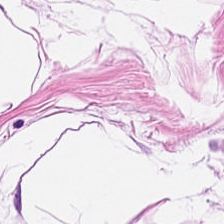Hematoxylin-and-eosin stained section. 20× equivalent magnification — Showing adipose tissue.
